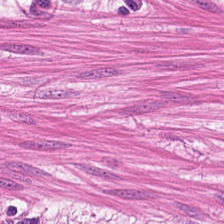This patch shows muscularis.
